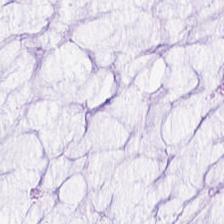224×224 pixel tile; H&E stain; WSI patch — This field is mucus.
